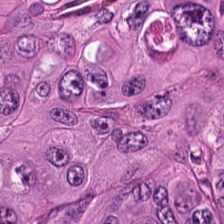Stain: hematoxylin and eosin.
Preparation: FFPE.
Tile size: 224×224 px tile.
Tissue class: malignant epithelium.
